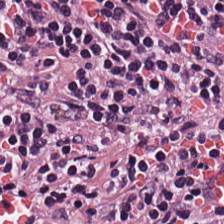H&E. Lymphocytic infiltrate.
